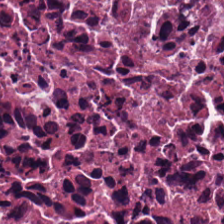224×224 px patch · H&E · FFPE. This patch shows necrotic debris.
